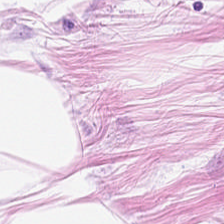H&E-stained section; the field shows adipose.
